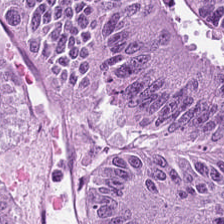H&E stain — Classification — malignant epithelium.
